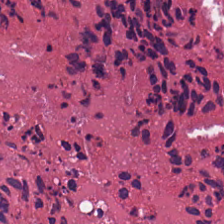FFPE tissue section; H&E — The tissue here is cellular debris.
